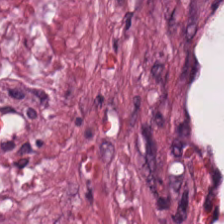FFPE · H&E.
Showing desmoplastic stroma.
